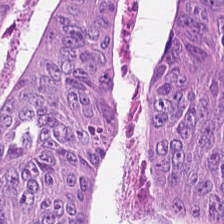H&E — Q: What is the predominant tissue type?
A: The field shows colorectal adenocarcinoma epithelium.
